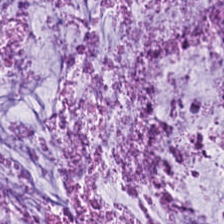{"tissue_type": "extracellular mucin"}
